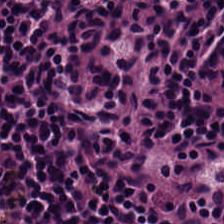Hematoxylin and eosin.
Q: Classify this patch.
A: This is lymphocyte aggregate.
